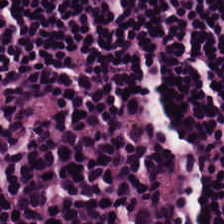H&E-stained tissue section showing lymphocyte aggregate.
